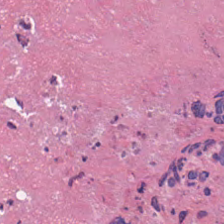H&E. The tissue class is debris.
